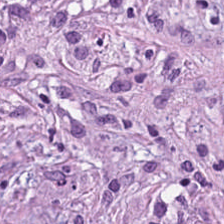H&E-stained tissue section · 0.5 µm/px · whole-slide-image patch.
Predominantly desmoplastic stroma.
